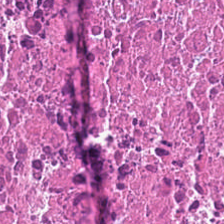{"tissue_type": "debris"}
